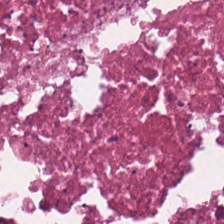0.5 µm per pixel. H&E — Tissue type — debris.
